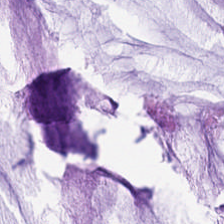Stain: H&E-stained tissue section.
Predominant tissue: extracellular mucin.
